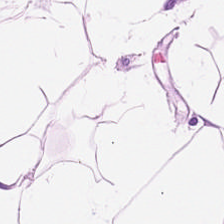Stain: hematoxylin and eosin.
Tissue type: fat tissue.
